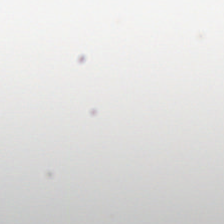Q: What is shown here?
A: It is background.
